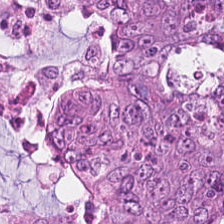H&E-stained tissue section · 0.5 microns per pixel. The predominant tissue is colorectal adenocarcinoma.
